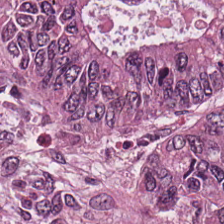H&E-stained section; the field shows tumor epithelium.
